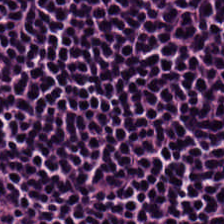Whole-slide-image patch; hematoxylin and eosin.
{"tissue_type": "lymphocytic infiltrate"}
